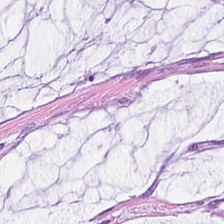H&E-stained tissue section · 0.5 µm per pixel.
Predominant tissue: extracellular mucin.
